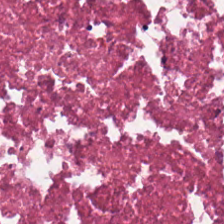H&E. This field is cellular debris.
